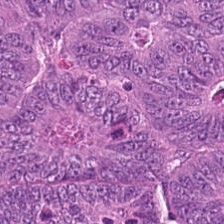Brightfield microscopy. H&E stain. FFPE. This patch shows adenocarcinoma.
